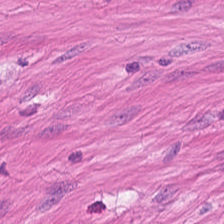224×224 px patch · hematoxylin-and-eosin stained section · WSI patch.
This field is muscularis.
